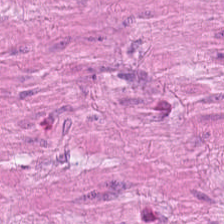Hematoxylin-and-eosin stained section. This patch shows smooth-muscle tissue.
